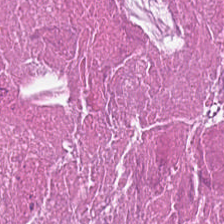Hematoxylin-and-eosin stained section; 20× equivalent magnification — Q: What is the predominant tissue type?
A: This is necrotic debris.
